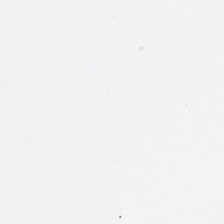Field content: no tissue.
